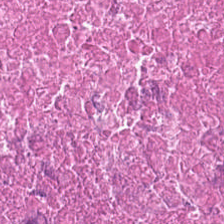Brightfield. Hematoxylin and eosin.
Finding → necrotic debris.
